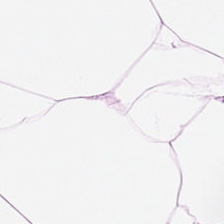Hematoxylin-and-eosin stained section — Predominant tissue: fat tissue.
